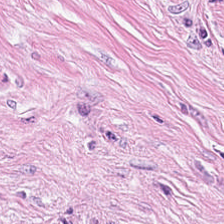H&E-stained tissue section · 0.5 µm per pixel.
Impression → tumor-associated stroma.
